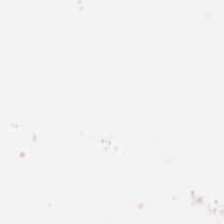Q: What is shown here?
A: It is background (no tissue).
